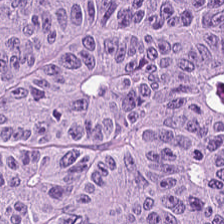Predominantly tumor epithelium.
